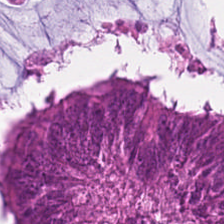H&E-stained tissue section.
Histology → adenocarcinoma.
